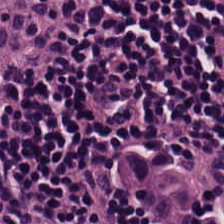Hematoxylin and eosin. The tissue here is lymphocytes.
